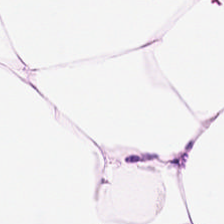224×224 px patch; FFPE tissue section; H&E. Predominant tissue = adipocytes.
